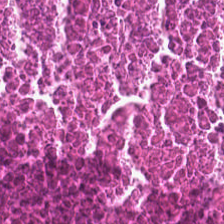Brightfield. H&E-stained tissue section.
Tissue class = cellular debris.
